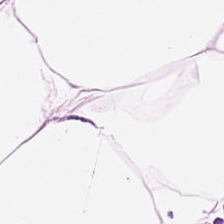H&E-stained tissue section.
Q: Classify this patch.
A: This is adipose.
